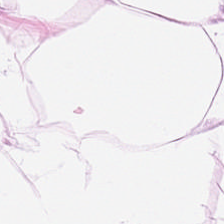H&E-stained tissue section. Predominantly fat tissue.
